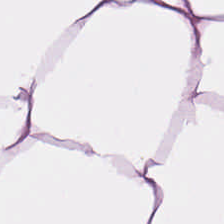Impression — adipose tissue.
